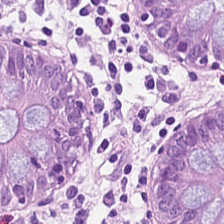H&E. Brightfield — Tissue class = non-neoplastic colon mucosa.
